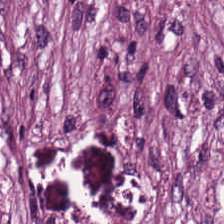0.5 microns per pixel. H&E stain.
Tissue: tumor-associated stroma.
